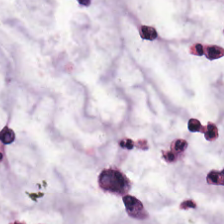Stain: H&E stain.
Tissue type: extracellular mucin.
